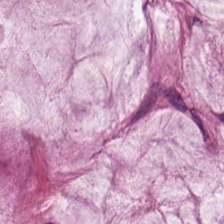Whole-slide-image patch. 224×224 pixel tile. H&E. Showing mucin.
